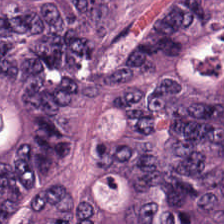H&E stain · 224×224 pixel tile.
The tissue is malignant epithelium.
